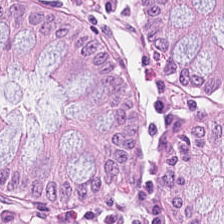Hematoxylin and eosin.
{"tissue_type": "normal colon mucosa"}
